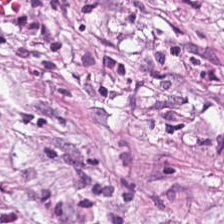H&E-stained section; the field shows tumor-associated stroma.
